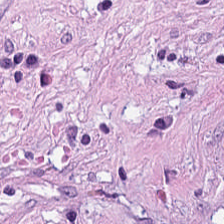FFPE tissue section; H&E-stained tissue section. The tissue class is desmoplastic stroma.
